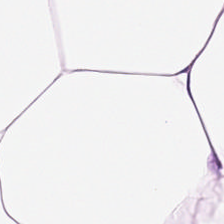Histology → adipose tissue.
